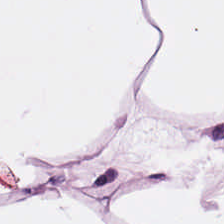Hematoxylin and eosin.
Predominant tissue: fat tissue.
